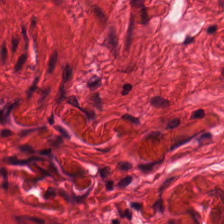H&E — The tissue type is muscularis.
